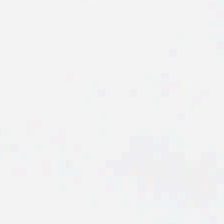Brightfield microscopy. H&E-stained tissue section. Finding — empty background.
